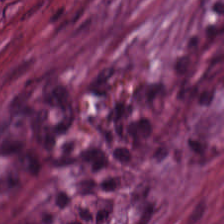Stain: H&E.
Resolution: 0.5 µm per pixel.
Classification: tumor-associated stroma.
